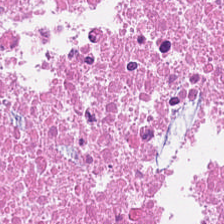Hematoxylin-and-eosin section: necrotic debris.
